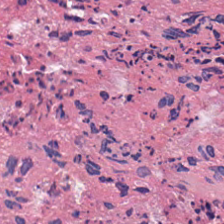Hematoxylin-and-eosin stained section. 0.5 microns per pixel.
The predominant tissue is necrotic debris.
